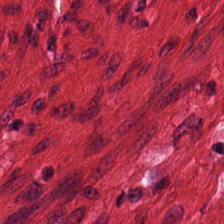H&E-stained section; the field shows smooth-muscle tissue.
